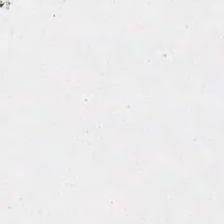Finding — background.
